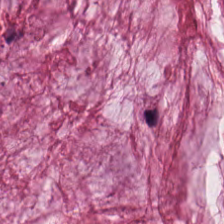H&E stain — Finding — mucin.
